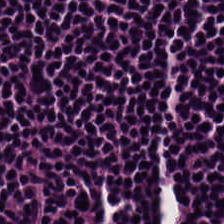H&E — Predominantly lymphoid infiltrate.
